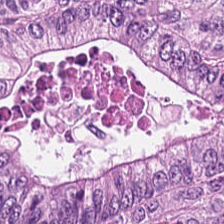H&E stain — Predominant tissue — colorectal adenocarcinoma.
